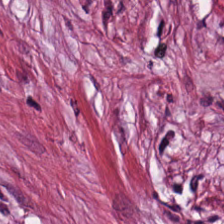H&E stain. Histology → desmoplastic stroma.
